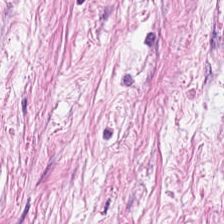H&E — This patch shows tumor-associated stroma.
